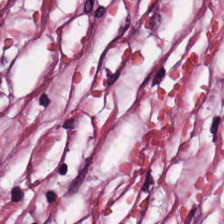This patch shows desmoplastic stroma.
